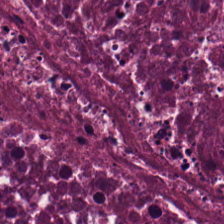Impression — necrotic debris.
